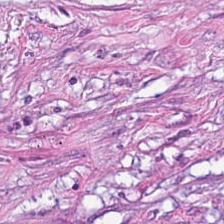H&E stain · whole-slide-image patch — Predominantly desmoplastic stroma.
